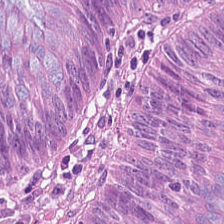The predominant tissue is malignant epithelium.
